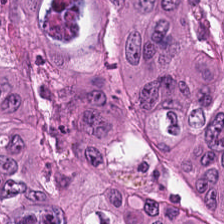Stain: hematoxylin and eosin.
Tissue type: colorectal adenocarcinoma.
